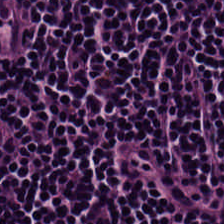Showing lymphocytes.
